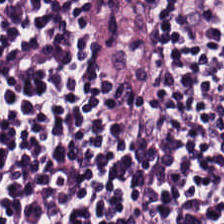H&E stain.
Classification — lymphocytic infiltrate.
